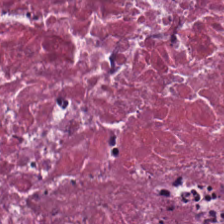H&E-stained tissue section showing necrotic debris.
